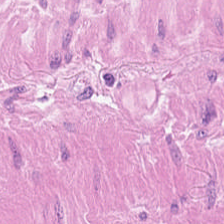H&E · 224×224 pixel tile.
The classification is smooth-muscle tissue.
